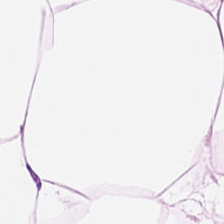Brightfield · H&E · 0.5 µm/px — Tissue type: fat tissue.
